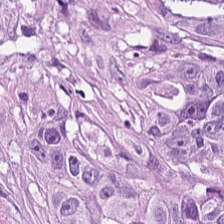Formalin-fixed paraffin-embedded section · hematoxylin-and-eosin stained section.
Histology → desmoplastic stroma.
